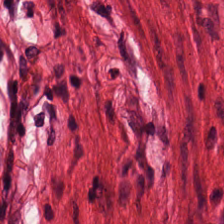20× equivalent magnification · H&E stain — Q: What is shown in this field?
A: Muscularis.
